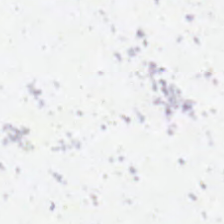Stain: H&E stain.
Field content: background.
